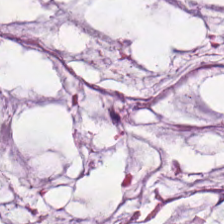Hematoxylin-and-eosin stained section.
Showing extracellular mucin.
